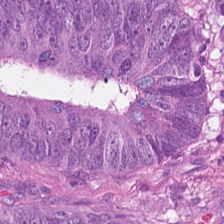H&E — Tissue class = colorectal adenocarcinoma.
